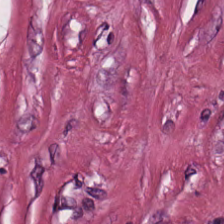Stain: H&E.
Classification: cancer-associated stroma.
